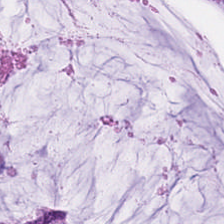Hematoxylin-and-eosin stained section · 0.5 µm/px.
Tissue type: mucin.
